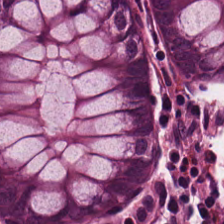Hematoxylin-and-eosin stained section.
The tissue here is non-neoplastic colon mucosa.
